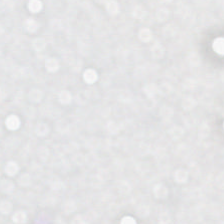Stain: hematoxylin and eosin.
Field content: background (no tissue).
